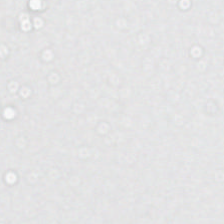H&E-stained tissue section — Finding → no tissue.
